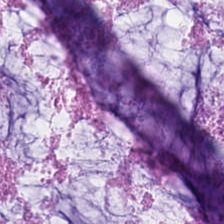0.5 microns per pixel; hematoxylin and eosin. Extracellular mucin.
